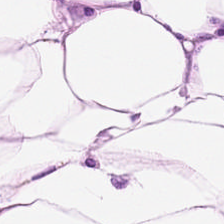Hematoxylin and eosin.
{"tissue_type": "adipocytes"}
